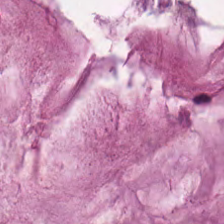H&E stain.
Predominantly mucin.
